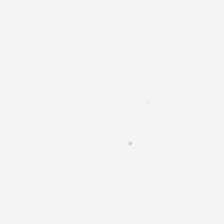Hematoxylin-and-eosin stained section. 224×224 px tile.
Q: Classify this patch.
A: This is no tissue.
